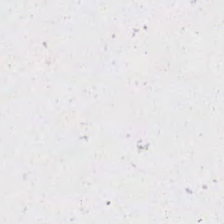H&E.
Empty background.
